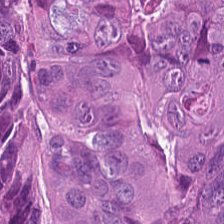H&E stain. Tissue: adenocarcinoma.
